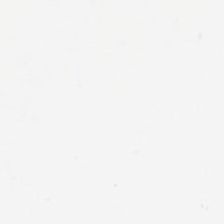Q: What is shown in this field?
A: The field shows background.
